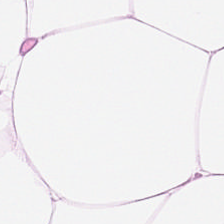224×224 pixel tile; H&E; 0.5 µm/px.
This patch shows adipose tissue.
